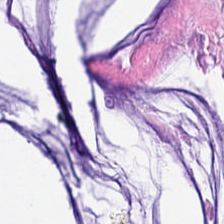Tissue type: extracellular mucin.
